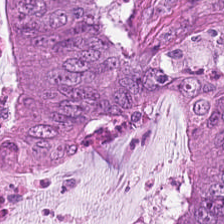H&E. Impression — colorectal adenocarcinoma epithelium.
